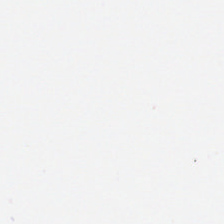Formalin-fixed paraffin-embedded section; H&E stain — Classification — no tissue.
